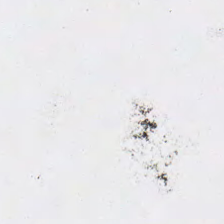Hematoxylin and eosin.
Empty field — background (no tissue).
